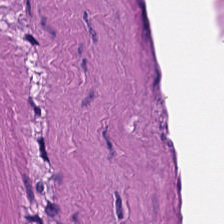Stain: H&E.
Tissue class: smooth-muscle tissue.
